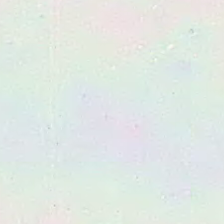0.5 microns per pixel. H&E stain. Q: Classify this patch.
A: This is empty background.
